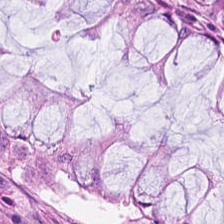H&E-stained tissue section; whole-slide-image patch — Q: What tissue is shown?
A: This is normal colon mucosa.
